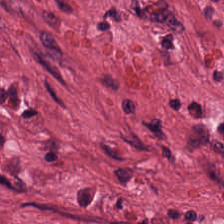224×224 px tile; hematoxylin-and-eosin stained section. The classification is desmoplastic stroma.
